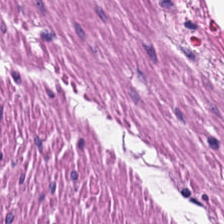Hematoxylin-and-eosin stained section. The predominant tissue is smooth muscle.
